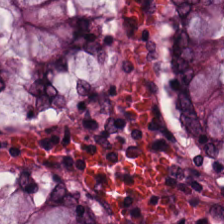Stain: H&E.
Resolution: 20× equivalent magnification.
Tissue: normal colon mucosa.
